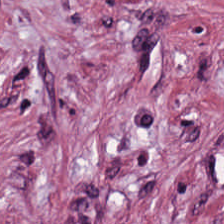Stain: H&E stain.
Tissue class: cancer-associated stroma.
